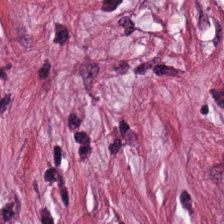H&E — desmoplastic stroma.
